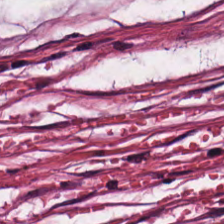Hematoxylin and eosin; whole-slide-image patch.
Histology → tumor-associated stroma.
